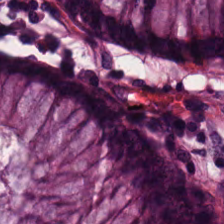Tissue class — normal colon mucosa.
